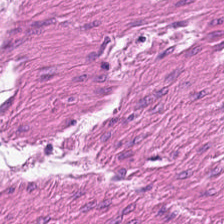Hematoxylin and eosin. {"tissue_type": "smooth muscle"}
